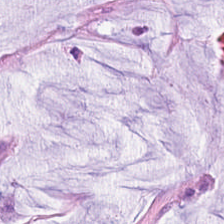H&E-stained tissue section.
Tissue — extracellular mucin.
